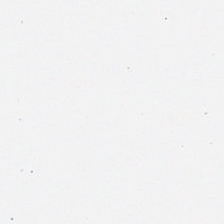224×224 px patch; H&E-stained tissue section; 20× equivalent magnification. The classification is empty background.
